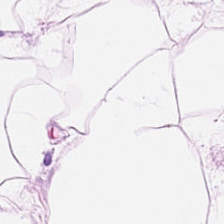Hematoxylin-and-eosin section: adipose tissue.
